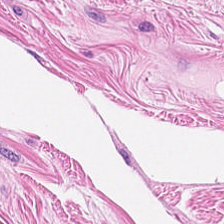H&E — smooth-muscle tissue.
